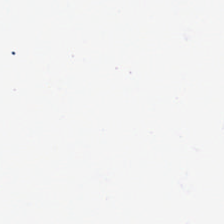WSI patch · 224×224 px patch · hematoxylin and eosin. No tissue present; background only.
